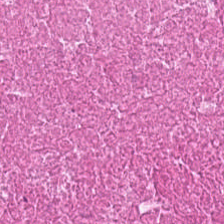Hematoxylin and eosin · whole-slide-image patch · 0.5 µm/px — Q: What is the predominant tissue type?
A: It is cellular debris.
